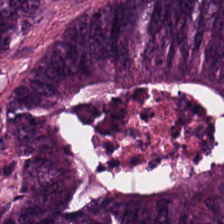Hematoxylin and eosin.
{"tissue_type": "colorectal adenocarcinoma epithelium"}
